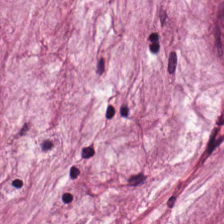H&E-stained tissue section. FFPE tissue section. Finding — mucus.
